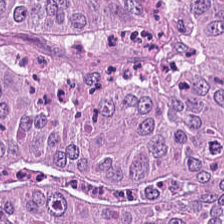Stain: hematoxylin-and-eosin stained section.
Tissue class: malignant epithelium.
